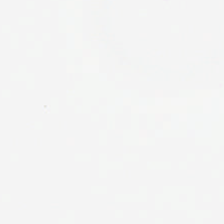Formalin-fixed paraffin-embedded section. H&E-stained tissue section. Whole-slide-image patch — Q: What is shown in this field?
A: Background (no tissue).
